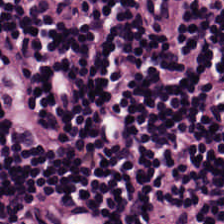Stain: H&E-stained tissue section.
Acquisition: whole-slide-image patch.
Tissue: lymphoid infiltrate.
